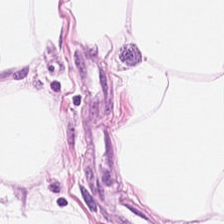H&E patch showing adipose tissue.
